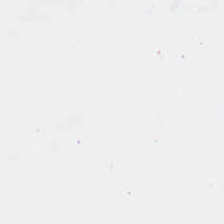H&E stain. 0.5 microns per pixel. Brightfield microscopy.
Q: What is shown here?
A: The field shows background (no tissue).
